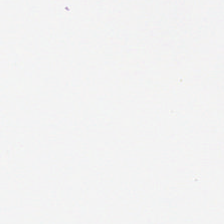Classification — background.
